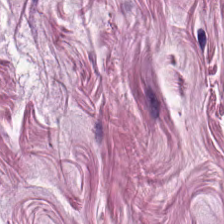224×224 px tile; hematoxylin-and-eosin stained section; formalin-fixed paraffin-embedded section.
This patch shows smooth-muscle tissue.
